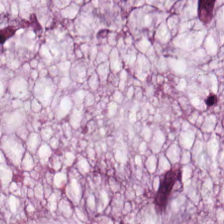H&E. 224×224 pixel tile — This field is extracellular mucin.
